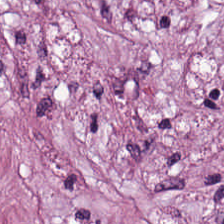Stain: H&E-stained tissue section.
Tissue: tumor stroma.
